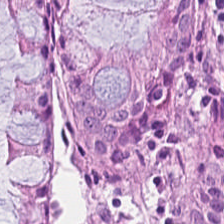Tissue class: normal colonic mucosa.
